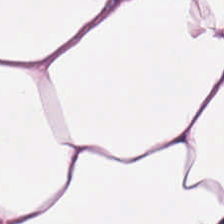H&E-stained tissue section.
The predominant tissue is adipose.
